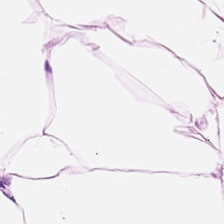Hematoxylin and eosin.
Q: What type of tissue is this?
A: This is adipocytes.
